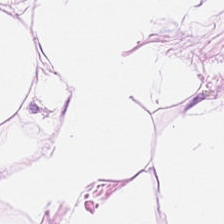This field is adipose tissue.
